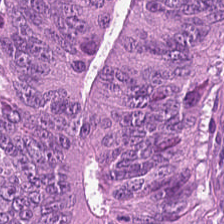Hematoxylin and eosin. 224×224 px patch. 0.5 microns per pixel.
{"tissue_type": "tumor epithelium"}
